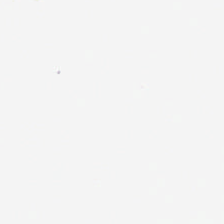Q: What does this patch show?
A: It is empty background.
